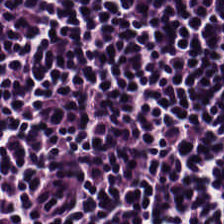Q: Identify the tissue.
A: Lymphocytes.
